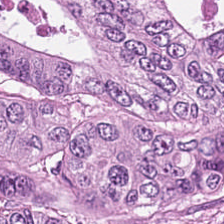Hematoxylin-and-eosin stained section. The predominant tissue is malignant epithelium.
